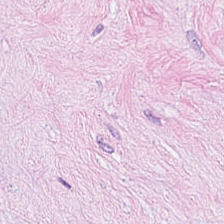H&E.
Impression → desmoplastic stroma.
